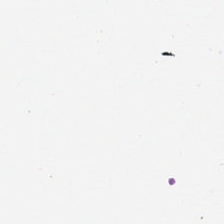Hematoxylin-and-eosin stained section — Impression — background (no tissue).
